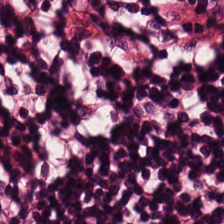20× equivalent magnification; H&E-stained tissue section.
Classification: lymphocytes.
